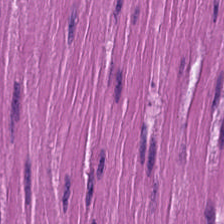H&E · whole-slide-image patch · 224×224 px patch.
Smooth-muscle tissue.
